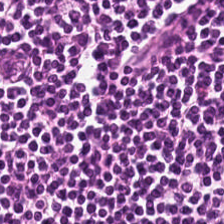FFPE; 224×224 px tile; hematoxylin-and-eosin stained section. The tissue here is lymphocyte aggregate.
